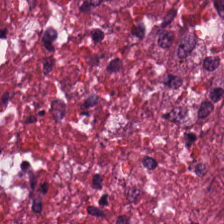Hematoxylin and eosin.
Q: What tissue type is shown here?
A: The field shows cellular debris.
